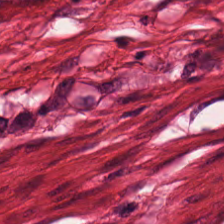Smooth muscle.
